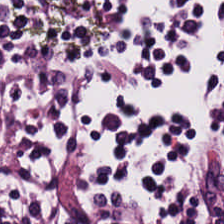FFPE tissue section · H&E-stained tissue section — The tissue is lymphocytes.
